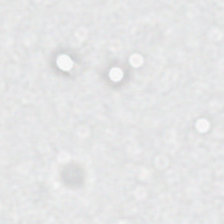H&E-stained tissue section; whole-slide-image patch; 224×224 px patch — Histology — background.
